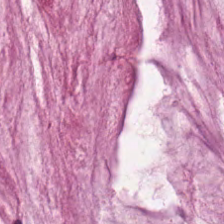Q: What is shown here?
A: This is mucus.
